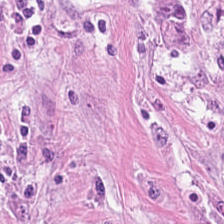H&E — tumor-associated stroma.
